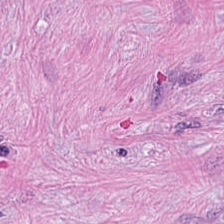Hematoxylin and eosin.
Impression → tumor-associated stroma.
